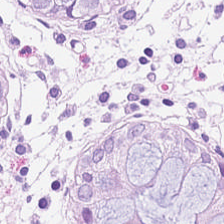H&E patch showing non-neoplastic colon mucosa.
